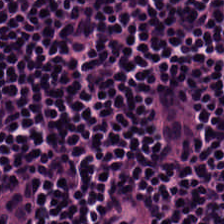Hematoxylin-and-eosin stained section · 0.5 µm/px — Predominant tissue — lymphocytic infiltrate.
